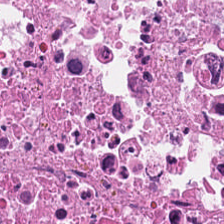Brightfield; H&E; 0.5 µm/px — Tissue class — debris.
